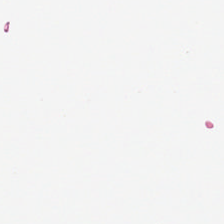Q: What is shown here?
A: It is background.
